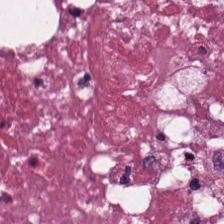H&E. Brightfield microscopy. FFPE. Cellular debris.
